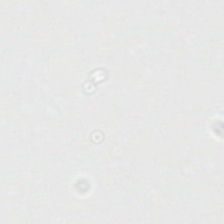H&E.
Q: Classify this patch.
A: It is background.
